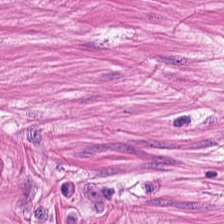H&E patch showing muscularis.
